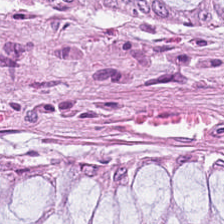H&E-stained tissue section · FFPE · 224×224 px tile.
The predominant tissue is non-neoplastic colon mucosa.
